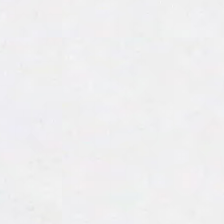Stain: hematoxylin and eosin.
Content: empty background.
